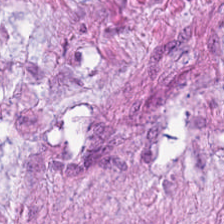Stain: hematoxylin-and-eosin stained section.
Preparation: formalin-fixed paraffin-embedded section.
Resolution: 0.5 microns per pixel.
Tissue: smooth-muscle tissue.
